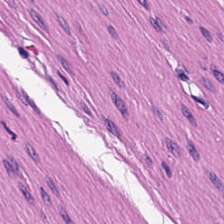H&E. The tissue type is smooth muscle.
